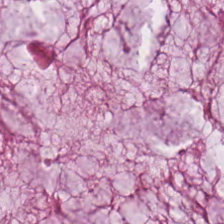FFPE. H&E-stained tissue section.
The tissue here is mucus.
